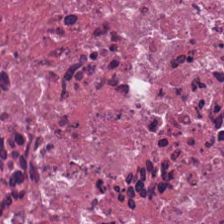Stain: H&E.
Resolution: 0.5 microns per pixel.
Classification: debris.
